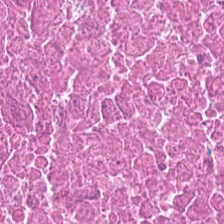H&E-stained tissue section. FFPE. Impression — debris.
